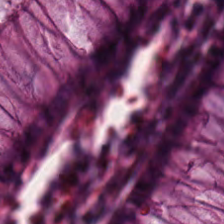The predominant tissue is benign colonic mucosa.
